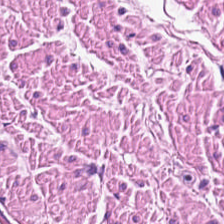Q: What is the predominant tissue type?
A: This is smooth muscle.
